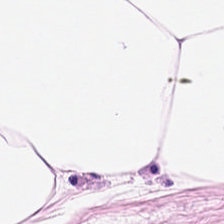0.5 µm per pixel. H&E-stained tissue section. This patch shows adipose.
